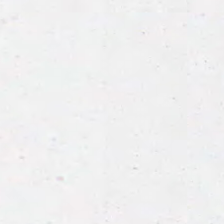Stain: H&E stain.
Acquisition: WSI patch.
Preparation: FFPE.
Field content: no tissue.
